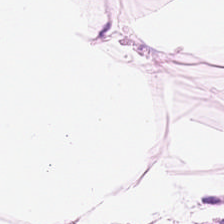H&E-stained tissue section · formalin-fixed paraffin-embedded section — Predominant tissue = adipose.
